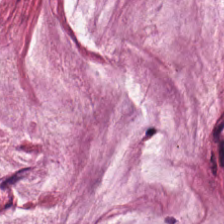Hematoxylin-and-eosin stained section. The predominant tissue is mucin.
